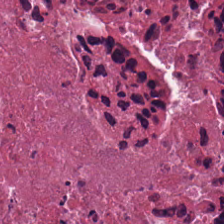H&E — necrotic debris.
